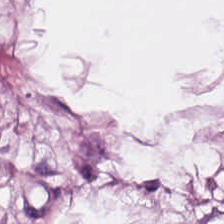Q: What is shown in this field?
A: This is adipose tissue.
